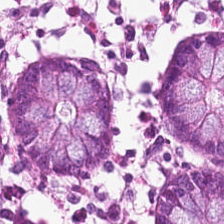Hematoxylin and eosin; brightfield. Impression → normal colonic mucosa.
